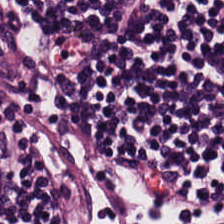Stain: hematoxylin and eosin.
Classification: lymphocytic infiltrate.
